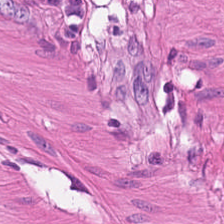H&E-stained tissue section. Brightfield.
Tissue = muscularis.
